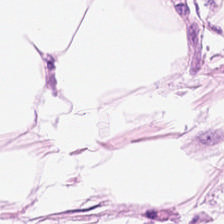Hematoxylin-and-eosin stained section.
Histology — adipocytes.
